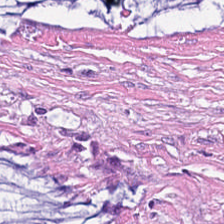Q: What is shown in this field?
A: The field shows tumor stroma.
